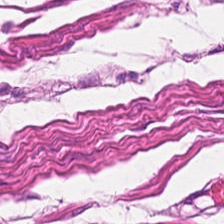H&E stain. This patch shows smooth muscle.
